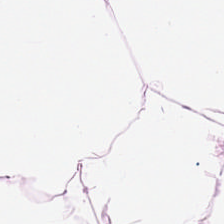Stain: hematoxylin and eosin.
Classification: adipose.
